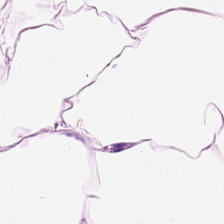0.5 microns per pixel; 224×224 pixel tile; H&E-stained tissue section — Tissue type — adipocytes.
